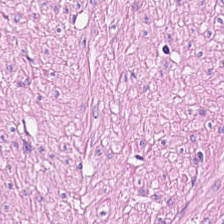WSI patch · H&E.
Impression → muscularis.
